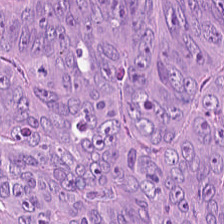This field is colorectal adenocarcinoma epithelium.
